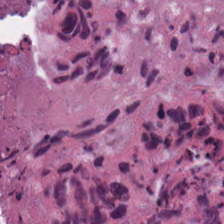H&E-stained tissue section.
Finding → necrotic debris.
